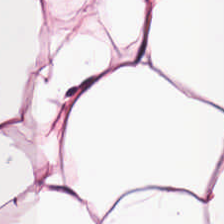H&E stain; 224×224 px tile; formalin-fixed paraffin-embedded section. Predominant tissue: adipose.
